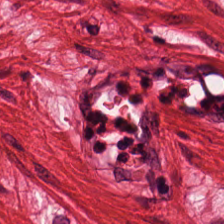20× equivalent magnification; hematoxylin and eosin — {"tissue_type": "smooth muscle"}
